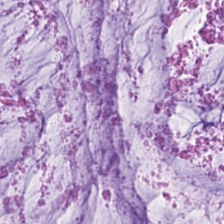H&E-stained tissue section. This patch shows mucus.
